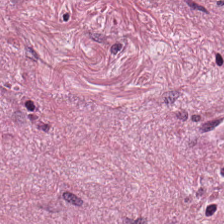WSI patch · hematoxylin and eosin.
Tissue type: desmoplastic stroma.
